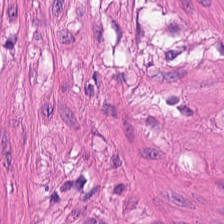Stain: H&E stain.
Acquisition: whole-slide-image patch.
Tissue class: muscularis.
